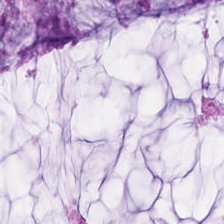H&E stain. Predominant tissue = extracellular mucin.
